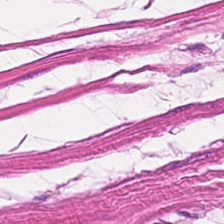Impression → smooth muscle.
